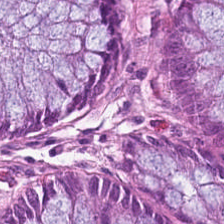H&E.
Q: What tissue is shown?
A: The field shows non-neoplastic colon mucosa.
